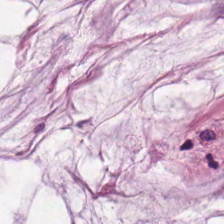Hematoxylin-and-eosin stained section. Impression → extracellular mucin.
